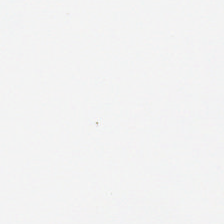This patch shows empty background.
